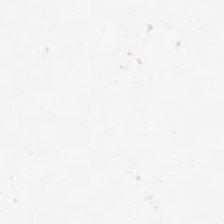H&E stain — This field is background (no tissue).
